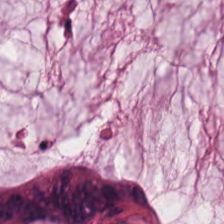{"tissue_type": "mucus"}
